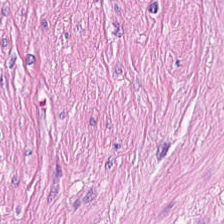H&E-stained section; the field shows smooth-muscle tissue.
